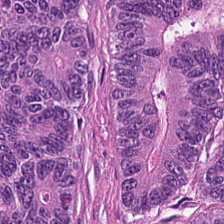WSI patch. H&E stain.
Showing colorectal adenocarcinoma epithelium.
